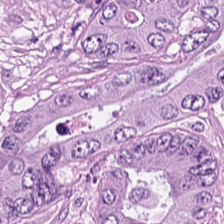Hematoxylin and eosin — This field is adenocarcinoma.
